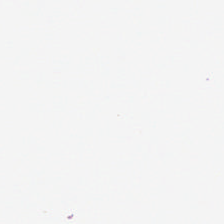Hematoxylin-and-eosin stained section; WSI patch. This field is background (no tissue).
